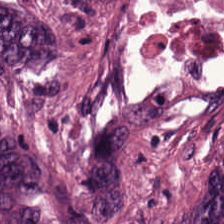Hematoxylin and eosin.
This field is colorectal adenocarcinoma.
